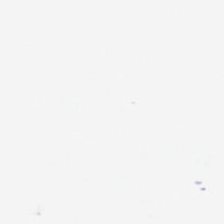This patch shows background (no tissue).
